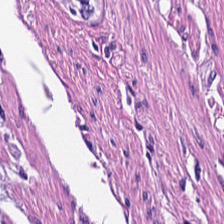Hematoxylin-and-eosin stained section. Formalin-fixed paraffin-embedded section — Q: What is shown here?
A: It is smooth-muscle tissue.
